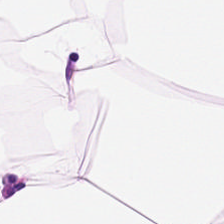Showing adipose.
